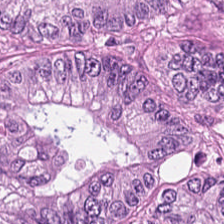Impression — adenocarcinoma.
